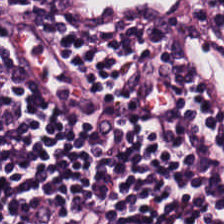Hematoxylin and eosin.
Q: What is the predominant tissue type?
A: This is lymphocytic infiltrate.
